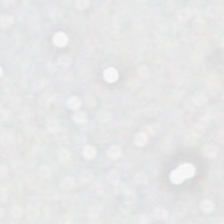0.5 µm/px; hematoxylin-and-eosin stained section — No tissue present; background only.
